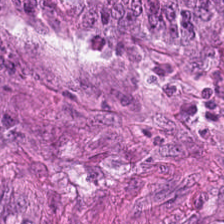Stain: hematoxylin and eosin.
Preparation: FFPE tissue section.
Acquisition: WSI patch.
Tissue: malignant epithelium.
